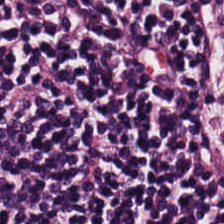0.5 µm per pixel; 224×224 px tile; H&E-stained tissue section. Showing lymphocyte aggregate.
